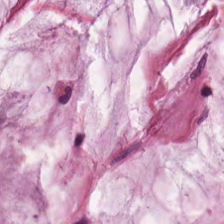H&E-stained section; the field shows mucin.
